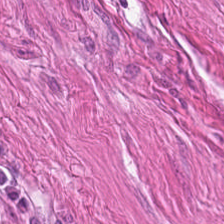Hematoxylin-and-eosin stained section — Predominantly smooth-muscle tissue.
